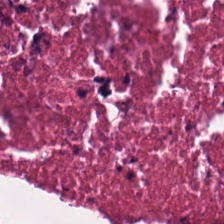Brightfield microscopy · H&E.
Showing debris.
